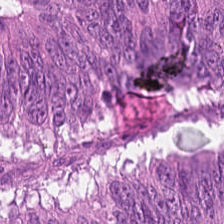Hematoxylin-and-eosin stained section. 0.5 µm/px — Predominantly malignant epithelium.
